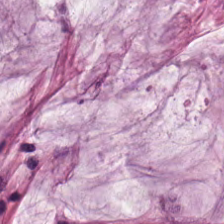Hematoxylin and eosin.
{"tissue_type": "mucin"}
